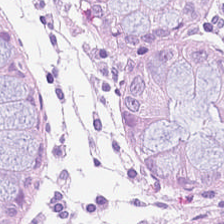Stain: H&E stain.
Predominant tissue: normal colonic mucosa.
